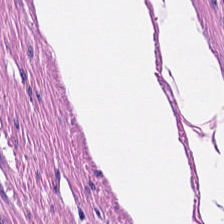Hematoxylin-and-eosin stained section — Q: What does this patch show?
A: It is smooth-muscle tissue.
